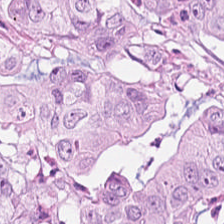Hematoxylin-and-eosin stained section — Tissue — tumor epithelium.
